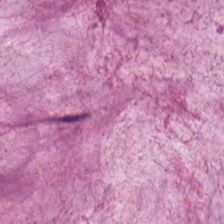H&E stain.
The predominant tissue is extracellular mucin.
